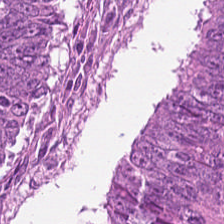Stain: H&E stain.
Predominant tissue: colorectal adenocarcinoma epithelium.
